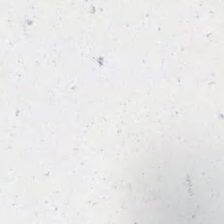Background (no tissue).
